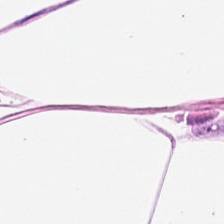Stain: hematoxylin and eosin.
Tissue: fat tissue.
